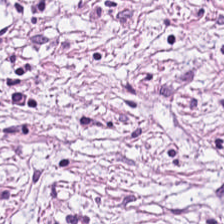FFPE; 0.5 µm/px; H&E. Predominantly desmoplastic stroma.
